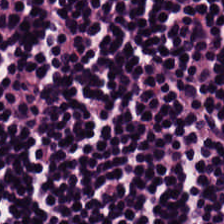H&E.
This field is lymphocytes.
